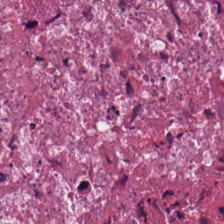0.5 µm per pixel. WSI patch. H&E-stained tissue section. Necrotic debris.
